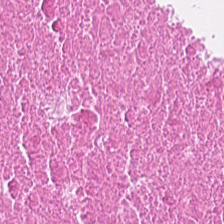0.5 microns per pixel · formalin-fixed paraffin-embedded section · H&E-stained tissue section.
Q: What tissue type is shown here?
A: It is necrotic debris.
